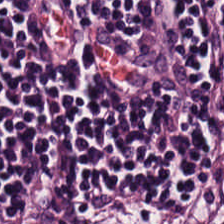H&E-stained tissue section showing lymphocytes.
